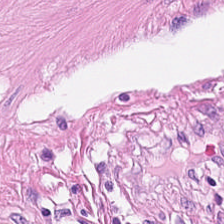Hematoxylin-and-eosin stained section. Q: What type of tissue is this?
A: It is smooth muscle.
